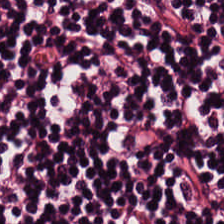Brightfield microscopy. H&E stain — Predominant tissue: lymphocytes.
